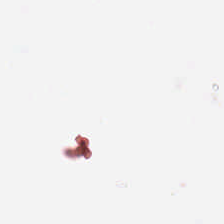H&E. 224×224 px patch — Background — no tissue in this field.
